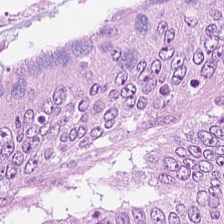The tissue type is adenocarcinoma.
